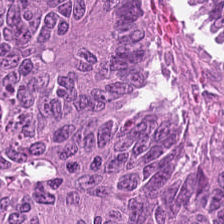Stain: H&E stain.
Tissue: colorectal adenocarcinoma.
